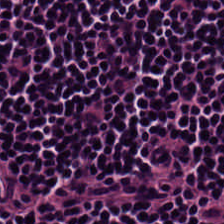Whole-slide-image patch · H&E stain. This patch shows lymphoid infiltrate.
